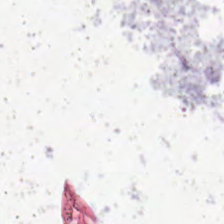H&E stain — Q: Classify this patch.
A: The field shows background (no tissue).
